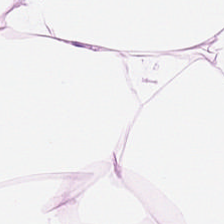H&E — Showing adipose.
